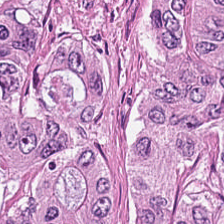20× equivalent magnification; H&E stain.
Tissue class — malignant epithelium.
